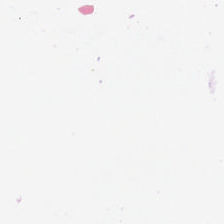Field content = no tissue.
